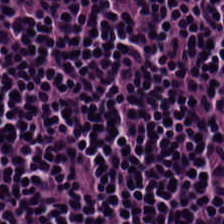H&E-stained tissue section; 224×224 px tile. Tissue type — lymphoid infiltrate.
